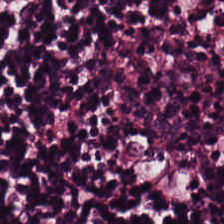Q: Classify this patch.
A: This is lymphoid infiltrate.
